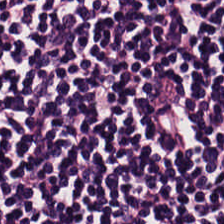H&E-stained tissue section — The classification is lymphocyte aggregate.
